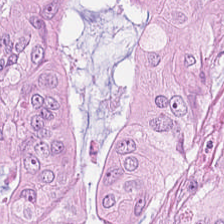H&E stain. WSI patch. Q: What is shown here?
A: It is adenocarcinoma.
